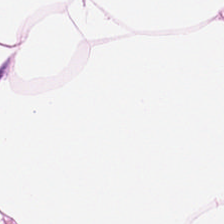Whole-slide-image patch · H&E stain. Finding — adipose.
